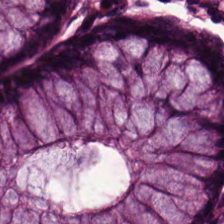The tissue type is normal colonic mucosa.
